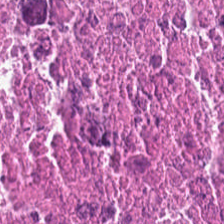H&E-stained tissue section showing cellular debris.
